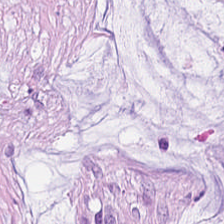Hematoxylin and eosin. Whole-slide-image patch.
Finding — extracellular mucin.
